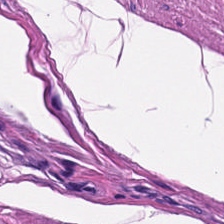Hematoxylin-and-eosin stained section · formalin-fixed paraffin-embedded section.
Impression → smooth muscle.
